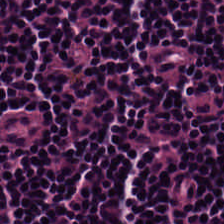Stain: hematoxylin and eosin.
Tile size: 224×224 px patch.
Predominant tissue: lymphoid infiltrate.
